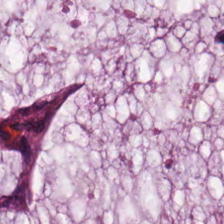H&E-stained tissue section — Predominant tissue — mucin.
